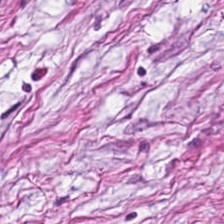H&E-stained tissue section. 20× equivalent magnification.
The tissue type is tumor-associated stroma.
